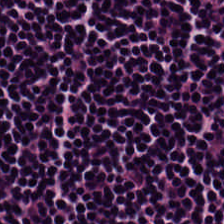Predominantly lymphocyte aggregate.
